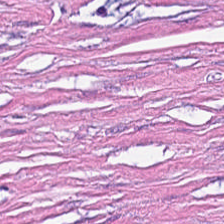H&E — The predominant tissue is tumor stroma.
